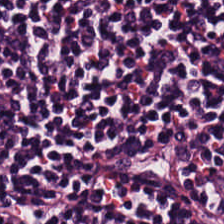H&E; FFPE tissue section — Tissue class — lymphocytic infiltrate.
